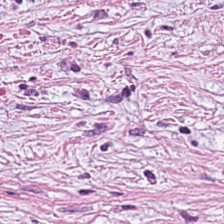Hematoxylin-and-eosin stained section. Showing desmoplastic stroma.
